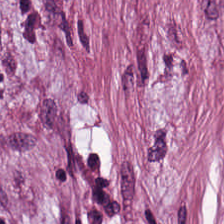H&E-stained tissue section. Brightfield — This patch shows cancer-associated stroma.
